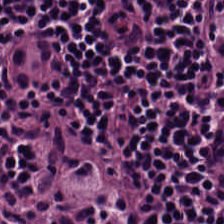H&E stain. 0.5 µm per pixel. Whole-slide-image patch. Tissue = lymphoid infiltrate.
